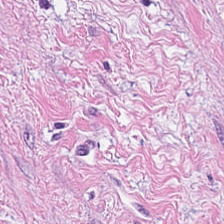Hematoxylin-and-eosin stained section · 0.5 µm/px · FFPE — Classification: tumor-associated stroma.
